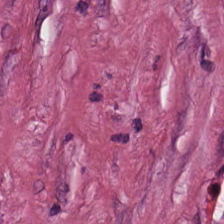Formalin-fixed paraffin-embedded section; 224×224 px patch; H&E-stained tissue section.
Cancer-associated stroma.
